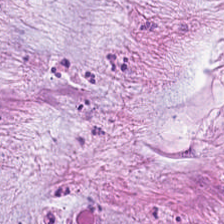Hematoxylin-and-eosin stained section.
Finding → mucus.
